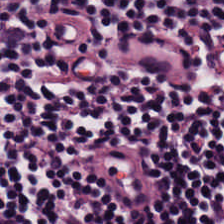Stain: hematoxylin and eosin.
Preparation: formalin-fixed paraffin-embedded section.
Resolution: 0.5 microns per pixel.
Classification: lymphocyte aggregate.
